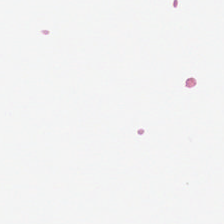H&E-stained tissue section; FFPE tissue section — Classification — no tissue.
